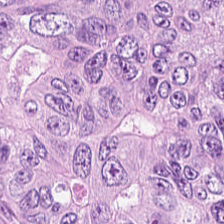224×224 pixel tile; hematoxylin-and-eosin stained section — Tissue class — colorectal adenocarcinoma epithelium.
